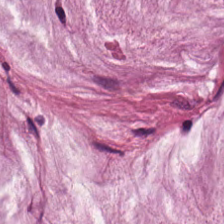H&E-stained tissue section — Q: What is shown here?
A: The field shows mucin.
